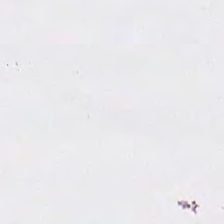H&E. Finding → background (no tissue).
